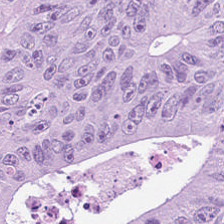Hematoxylin and eosin — Predominant tissue: malignant epithelium.
